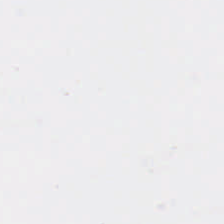Hematoxylin and eosin; brightfield microscopy. Empty field — background.
